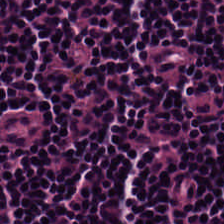Stain: H&E.
Tissue type: lymphoid infiltrate.
